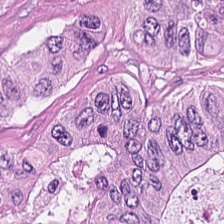FFPE; H&E. The tissue is adenocarcinoma.
